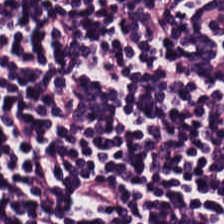H&E-stained section; the field shows lymphoid infiltrate.
